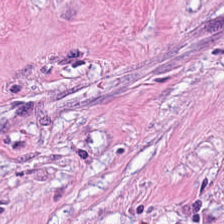H&E stain.
This field is tumor stroma.
